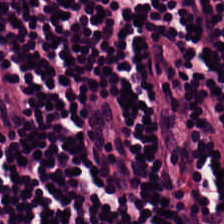Predominant tissue = lymphocytes.
